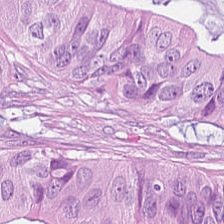224×224 px patch. H&E stain — Colorectal adenocarcinoma epithelium.
